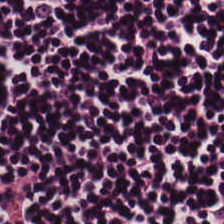Hematoxylin-and-eosin stained section.
Showing lymphoid infiltrate.
